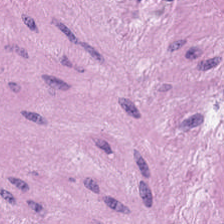Brightfield · hematoxylin and eosin.
The predominant tissue is smooth muscle.
